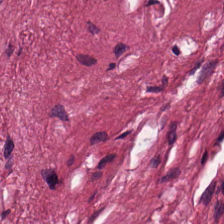H&E. Histology → desmoplastic stroma.
